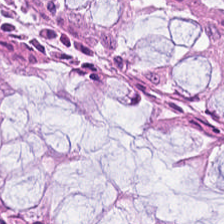Stain: hematoxylin-and-eosin stained section.
Tissue: non-neoplastic colon mucosa.
